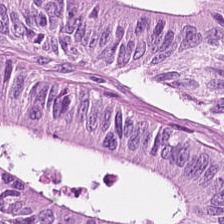Stain: H&E-stained tissue section.
Resolution: 0.5 microns per pixel.
Predominant tissue: colorectal adenocarcinoma epithelium.
